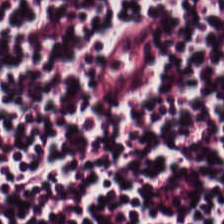H&E stain.
The predominant tissue is lymphocyte aggregate.
